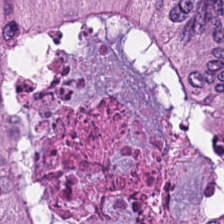Predominant tissue: colorectal adenocarcinoma epithelium.
